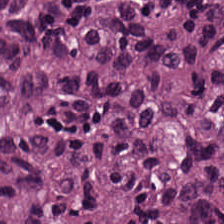FFPE; H&E; 20× equivalent magnification.
{"tissue_type": "colorectal adenocarcinoma epithelium"}
